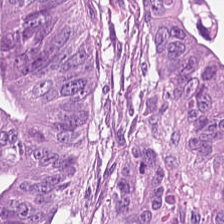Q: What does this patch show?
A: This is adenocarcinoma.
